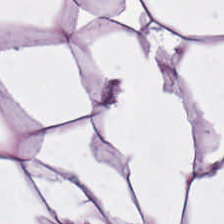224×224 px tile · hematoxylin-and-eosin stained section · brightfield microscopy — This field is adipose tissue.
